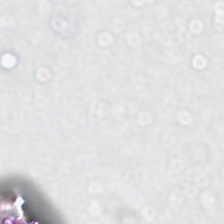Impression — no tissue.
